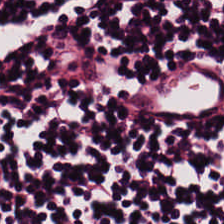H&E. Lymphocytes.
